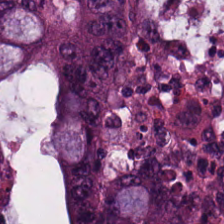H&E — This field is malignant epithelium.
